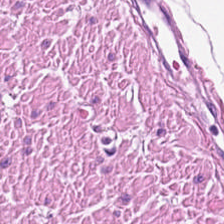This field is smooth-muscle tissue.
